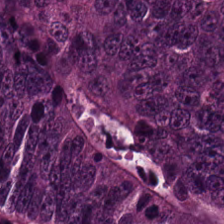Impression — tumor epithelium.
